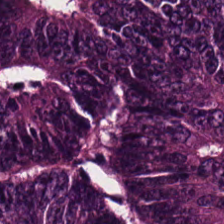Hematoxylin-and-eosin stained section. Q: What tissue type is shown here?
A: This is colorectal adenocarcinoma epithelium.
